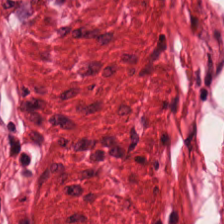FFPE tissue section. Hematoxylin-and-eosin stained section — The classification is smooth muscle.
